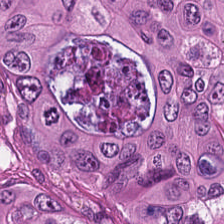Stain: H&E.
Tissue class: malignant epithelium.
